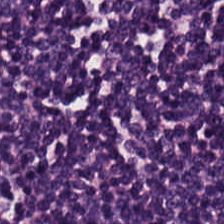H&E — lymphocytic infiltrate.
